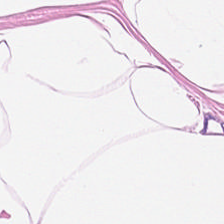Hematoxylin-and-eosin stained section. {"tissue_type": "adipocytes"}
